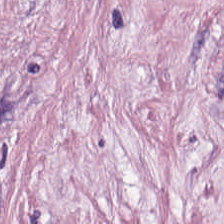Hematoxylin and eosin — The predominant tissue is cancer-associated stroma.
